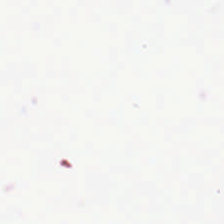H&E-stained tissue section; WSI patch.
{"content": "no tissue"}
